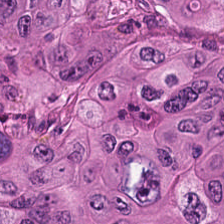224×224 px patch. Hematoxylin-and-eosin stained section. Predominant tissue = adenocarcinoma.
